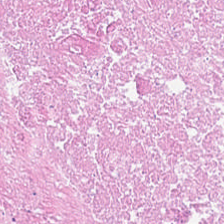Brightfield; hematoxylin and eosin; 224×224 px patch.
The predominant tissue is cellular debris.
